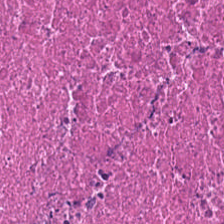FFPE tissue section; brightfield; hematoxylin and eosin. Tissue type = necrotic debris.
